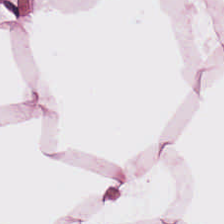Finding — fat tissue.
